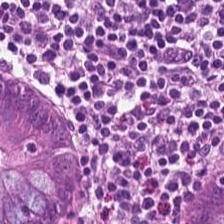Q: What is shown here?
A: It is non-neoplastic colon mucosa.
